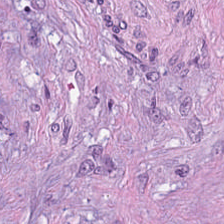H&E stain — {"tissue_type": "tumor-associated stroma"}
